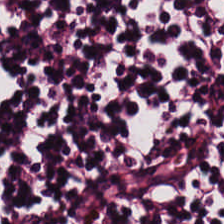Predominant tissue = lymphocyte aggregate.
